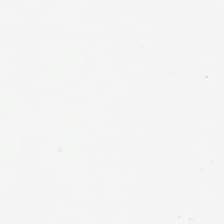H&E; 0.5 microns per pixel. Classification — no tissue.
